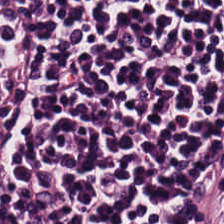Hematoxylin and eosin. Showing lymphocytes.
